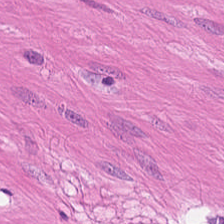H&E; brightfield.
Smooth muscle.
